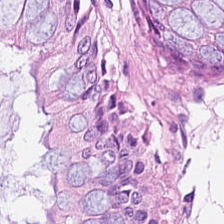Hematoxylin-and-eosin stained section; FFPE; 224×224 pixel tile. The predominant tissue is normal colon mucosa.
